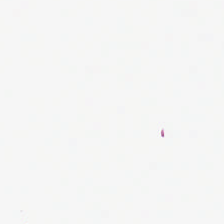H&E-stained tissue section — This field is background (no tissue).
